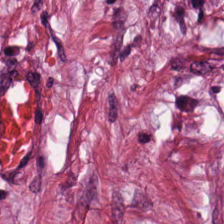H&E stain.
{"tissue_type": "desmoplastic stroma"}
